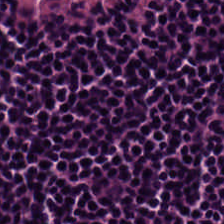WSI patch. Hematoxylin-and-eosin stained section. The tissue here is lymphocytes.
